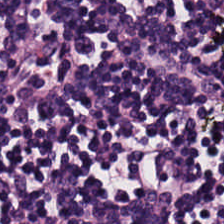Stain: hematoxylin and eosin.
Predominant tissue: lymphocytic infiltrate.
